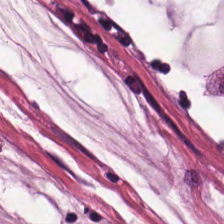FFPE; 224×224 pixel tile; H&E stain. Tissue type — mucin.
